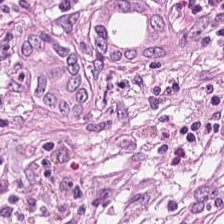H&E patch showing tumor-associated stroma.
